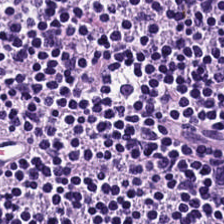Hematoxylin-and-eosin stained section — The tissue here is lymphocytic infiltrate.
